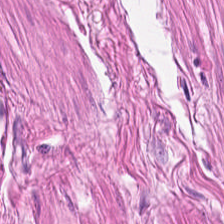Tissue — smooth muscle.
